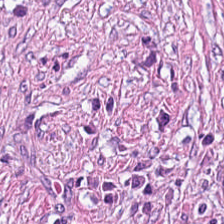Hematoxylin and eosin.
Showing tumor-associated stroma.
